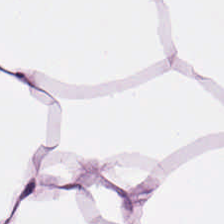Hematoxylin-and-eosin stained section — Tissue — adipose tissue.
